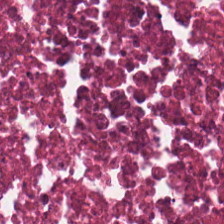FFPE; 0.5 µm per pixel; H&E stain.
Tissue type: debris.
